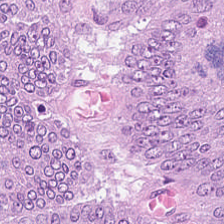Hematoxylin and eosin. Colorectal adenocarcinoma epithelium.
